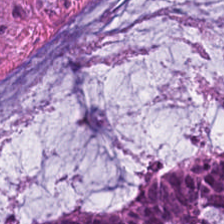Brightfield; 224×224 px tile; H&E — Tissue: mucus.
